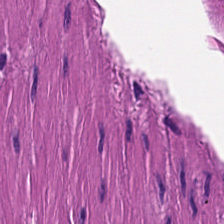Hematoxylin-and-eosin stained section — Q: What is the predominant tissue type?
A: It is smooth-muscle tissue.
